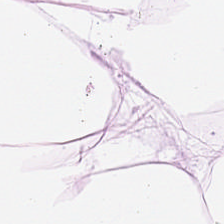H&E stain. Tissue class = adipocytes.
